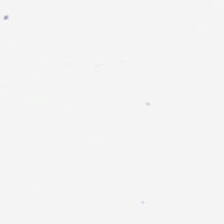H&E-stained tissue section.
Field content = background.
